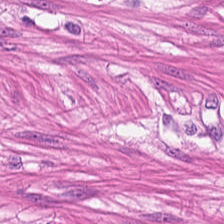Hematoxylin-and-eosin stained section. Histology → smooth-muscle tissue.
